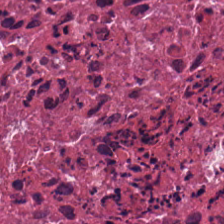Impression — necrotic debris.
